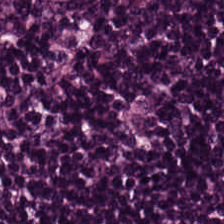H&E stain — The predominant tissue is lymphoid infiltrate.
